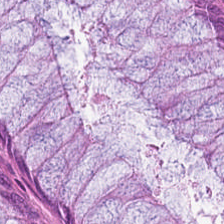Hematoxylin and eosin.
Predominantly normal colonic mucosa.
